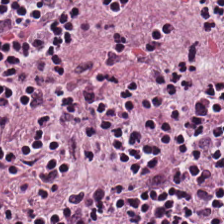Stain: hematoxylin and eosin.
Predominant tissue: lymphocyte aggregate.
